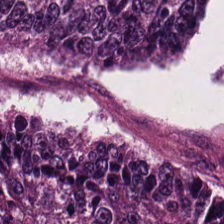Stain: H&E-stained tissue section.
Tissue class: colorectal adenocarcinoma epithelium.
